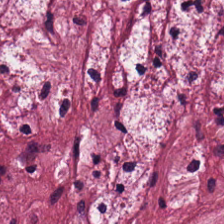Stain: H&E.
Tile size: 224×224 px tile.
Classification: tumor stroma.
